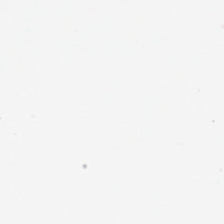H&E stain — Finding — no tissue.
